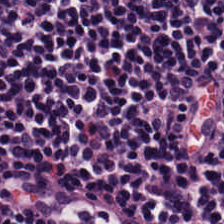Hematoxylin and eosin — The tissue here is lymphoid infiltrate.
